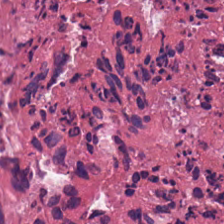Tissue class — cellular debris.
